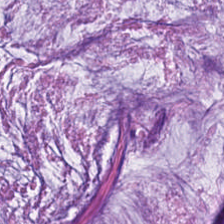H&E — The predominant tissue is mucus.
